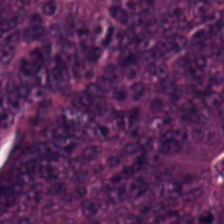Hematoxylin-and-eosin stained section.
The predominant tissue is tumor epithelium.
